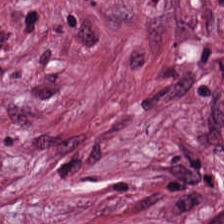Brightfield. Hematoxylin-and-eosin stained section. 224×224 px tile.
Q: What tissue is shown?
A: It is cancer-associated stroma.
